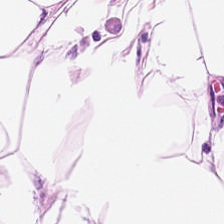Stain: H&E stain.
Acquisition: brightfield microscopy.
Classification: adipose.
